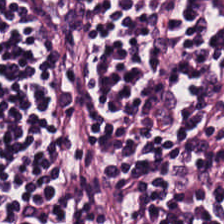Finding — lymphocytic infiltrate.
